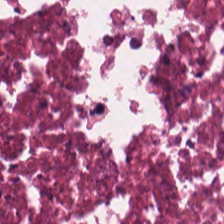Q: What is shown here?
A: This is necrotic debris.
